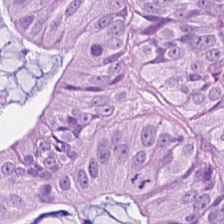Finding — adenocarcinoma.
